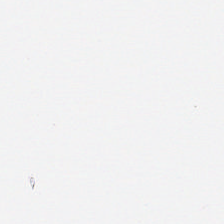Formalin-fixed paraffin-embedded section. H&E stain — Empty field — background.
